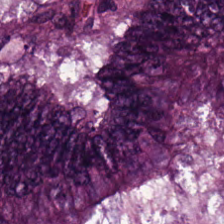Hematoxylin-and-eosin stained section. This patch shows malignant epithelium.
